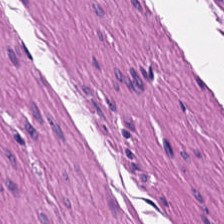Stain: hematoxylin and eosin.
Tile size: 224×224 px tile.
Tissue: muscularis.
